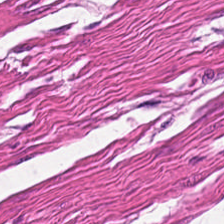Stain: H&E.
Tile size: 224×224 px patch.
Tissue: smooth muscle.
